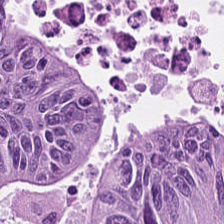Hematoxylin-and-eosin stained section — Impression → colorectal adenocarcinoma.
